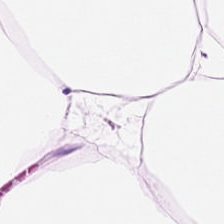20× equivalent magnification; H&E-stained tissue section; 224×224 pixel tile. Q: What does this patch show?
A: It is adipocytes.
